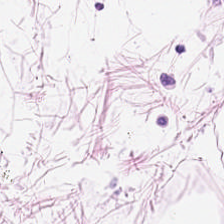H&E stain.
The tissue here is adipose.
